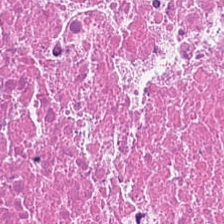H&E stain. Cellular debris.
